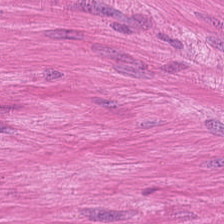Hematoxylin-and-eosin stained section; 224×224 pixel tile — The tissue class is muscularis.
